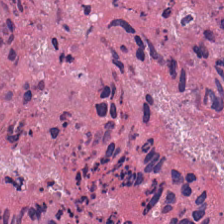Showing necrotic debris.
